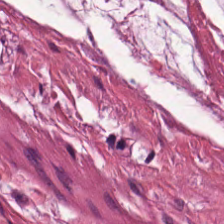H&E stain; 0.5 µm per pixel. Showing mucin.
